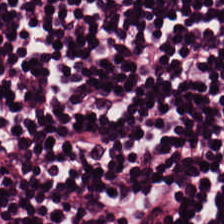Hematoxylin-and-eosin stained section. This patch shows lymphocytes.
